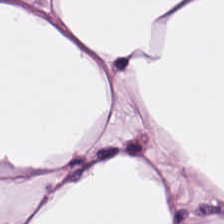Hematoxylin and eosin · 224×224 px patch. Predominant tissue — adipocytes.
